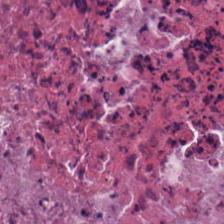H&E-stained tissue section showing necrotic debris.
